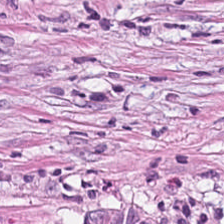Whole-slide-image patch. 0.5 µm/px. Hematoxylin-and-eosin stained section. Predominantly tumor-associated stroma.
